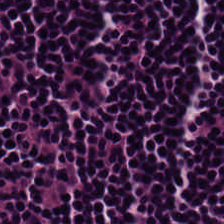H&E stain — Classification — lymphocytic infiltrate.
